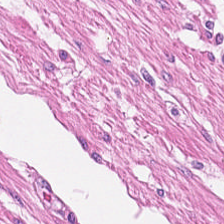Hematoxylin-and-eosin stained section.
The predominant tissue is muscularis.
